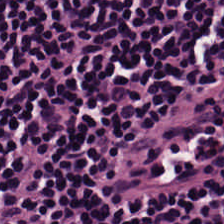H&E stain · 224×224 pixel tile · 20× equivalent magnification — Impression — lymphoid infiltrate.
